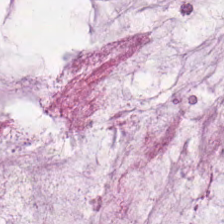H&E stain. Brightfield microscopy. Predominant tissue — mucin.
